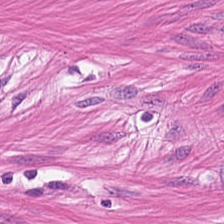Hematoxylin-and-eosin stained section. 20× equivalent magnification. WSI patch — Predominantly smooth muscle.
